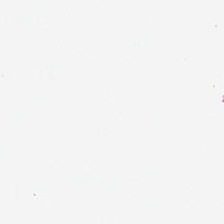Brightfield microscopy · H&E-stained tissue section — Background — no tissue in this field.
